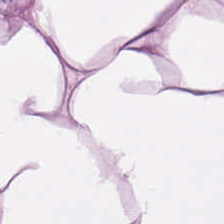Stain: H&E stain.
Tile size: 224×224 pixel tile.
Classification: adipocytes.
